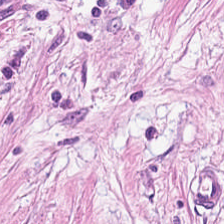H&E stain.
Predominant tissue — cancer-associated stroma.
